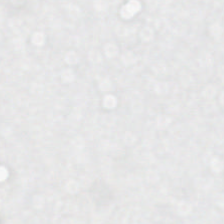H&E.
Impression — background.
